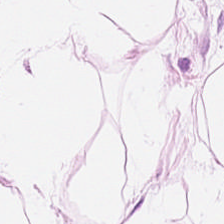This field is adipose.
